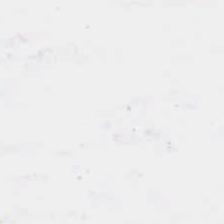Hematoxylin-and-eosin stained section — Q: What is shown in this field?
A: The field shows background.
